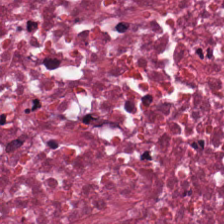Q: Identify the tissue.
A: This is debris.
